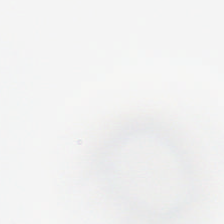H&E. Field content: no tissue.
